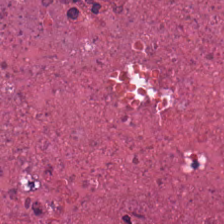Classification — debris.
